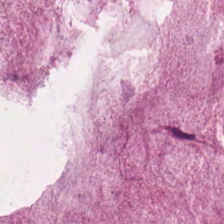Stain: hematoxylin and eosin.
Resolution: 0.5 microns per pixel.
Tissue: extracellular mucin.
